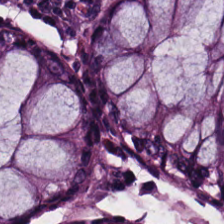Hematoxylin-and-eosin stained section.
Finding — non-neoplastic colon mucosa.
